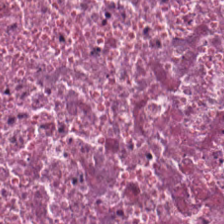This patch shows debris.
